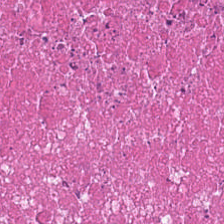The tissue here is cellular debris.
